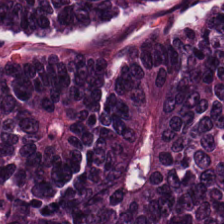H&E stain.
Impression → malignant epithelium.
